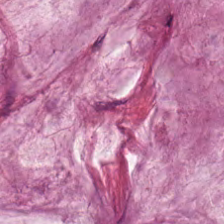Hematoxylin and eosin · brightfield. The predominant tissue is mucus.
